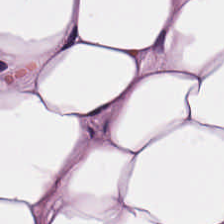FFPE. H&E stain. 224×224 px tile.
Showing fat tissue.
